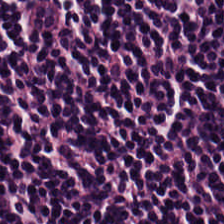Hematoxylin and eosin. This field is lymphocytic infiltrate.
